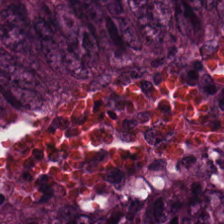Stain: hematoxylin and eosin.
Tissue class: tumor epithelium.
